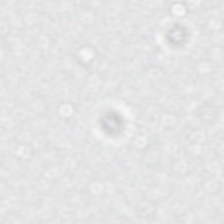Hematoxylin and eosin. {"content": "empty background"}
